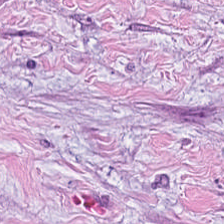H&E. Desmoplastic stroma.
